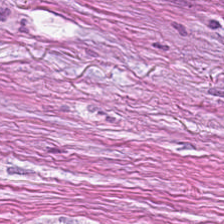H&E — The predominant tissue is tumor stroma.
